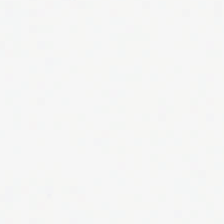The field content is no tissue.
